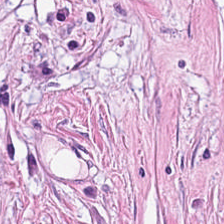H&E. 0.5 microns per pixel. Formalin-fixed paraffin-embedded section.
Cancer-associated stroma.
